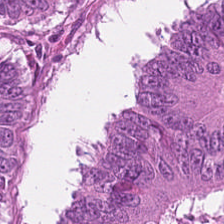H&E stain; formalin-fixed paraffin-embedded section — The tissue here is malignant epithelium.
